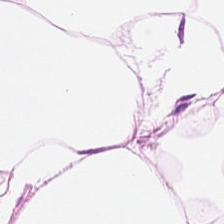Hematoxylin and eosin — Tissue type — adipocytes.
